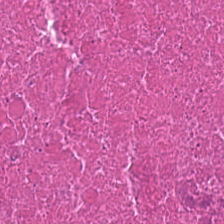H&E stain; 224×224 px tile — Predominant tissue = cellular debris.
